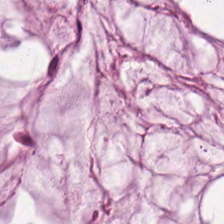H&E stain. WSI patch. FFPE. Extracellular mucin.
